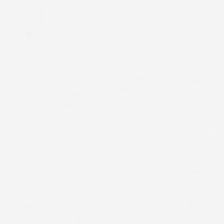Stain: H&E.
Preparation: formalin-fixed paraffin-embedded section.
Resolution: 0.5 microns per pixel.
Field content: empty background.
